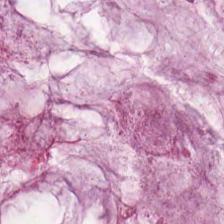H&E-stained tissue section. This field is extracellular mucin.
